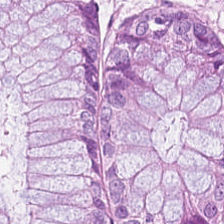H&E-stained tissue section showing normal colonic mucosa.
